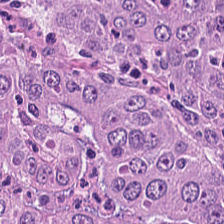H&E. Colorectal adenocarcinoma.
